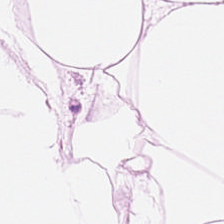H&E-stained tissue section. This patch shows adipose tissue.
